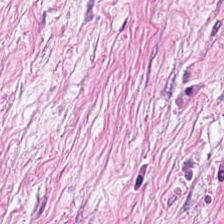H&E stain.
Histology → tumor-associated stroma.
